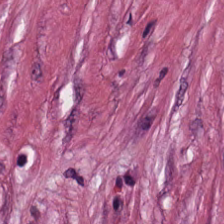H&E; brightfield. Tissue: tumor-associated stroma.
